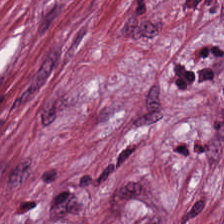Predominant tissue = desmoplastic stroma.
